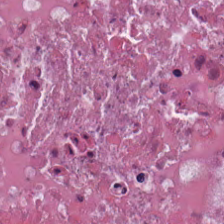Hematoxylin-and-eosin stained section. Classification: cellular debris.
